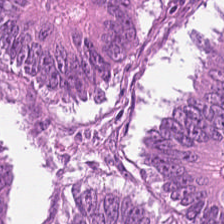H&E-stained tissue section. Predominant tissue = colorectal adenocarcinoma.
